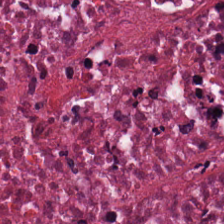Formalin-fixed paraffin-embedded section · hematoxylin and eosin — Q: Identify the tissue.
A: It is debris.
